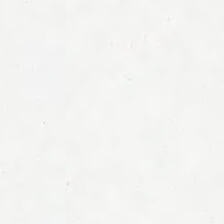Empty field — background.
